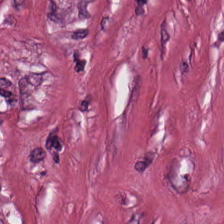Stain: H&E-stained tissue section.
Tissue type: cancer-associated stroma.
